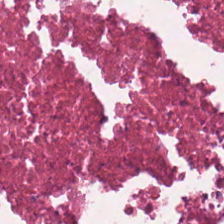224×224 pixel tile; H&E — {"tissue_type": "debris"}
